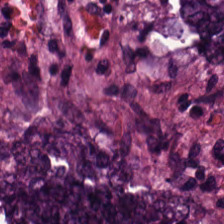H&E stain.
Classification — colorectal adenocarcinoma.
